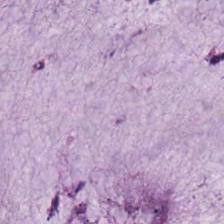Brightfield. H&E. Tissue: extracellular mucin.
